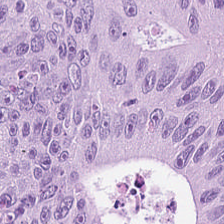Tissue — colorectal adenocarcinoma.
